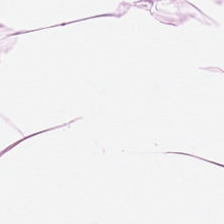Q: What type of tissue is this?
A: The field shows adipocytes.
